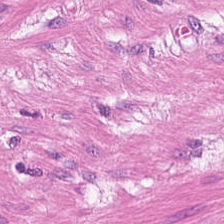224×224 px tile. FFPE. H&E-stained tissue section.
The predominant tissue is smooth muscle.
